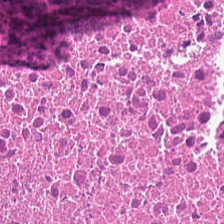H&E-stained tissue section; brightfield microscopy. Q: What is shown here?
A: Necrotic debris.
